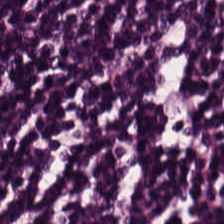Stain: hematoxylin and eosin.
Predominant tissue: lymphocytic infiltrate.
